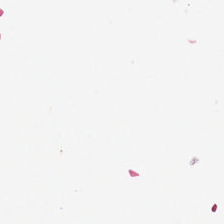Hematoxylin and eosin — No tissue.
